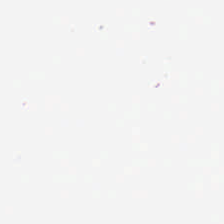FFPE tissue section. Brightfield microscopy. H&E stain.
The classification is empty background.
